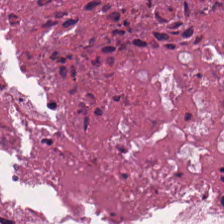Formalin-fixed paraffin-embedded section · hematoxylin-and-eosin stained section · brightfield — Tissue: necrotic debris.
